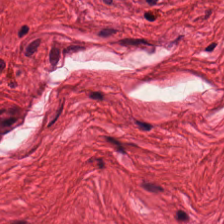Stain: H&E-stained tissue section.
Tissue type: smooth muscle.
